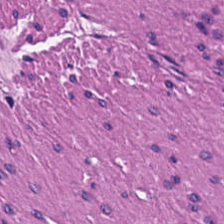This field is smooth-muscle tissue.
